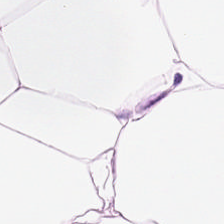Stain: H&E-stained tissue section.
Predominant tissue: adipose tissue.
